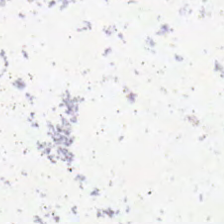Stain: H&E stain.
Field content: empty background.
